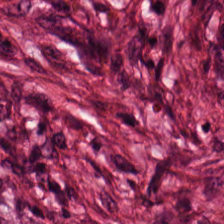Hematoxylin and eosin — This field is desmoplastic stroma.
